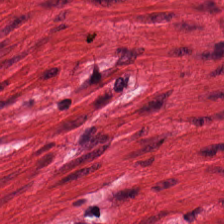224×224 pixel tile · FFPE tissue section · hematoxylin-and-eosin stained section. Predominant tissue — smooth muscle.
